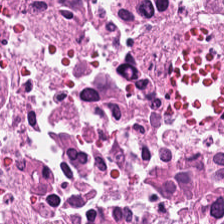Predominant tissue — cellular debris.
